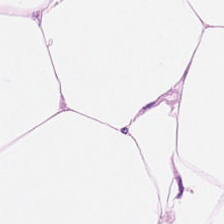Q: What is shown in this field?
A: The field shows fat tissue.
